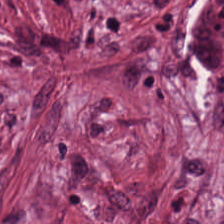Stain: hematoxylin and eosin.
Resolution: 0.5 µm/px.
Classification: cancer-associated stroma.
